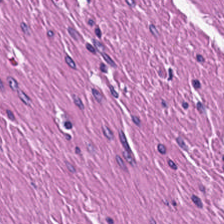Finding → smooth-muscle tissue.
